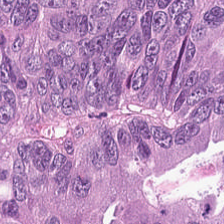Hematoxylin-and-eosin stained section.
{"tissue_type": "malignant epithelium"}
